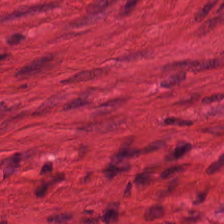Hematoxylin-and-eosin stained section. Tissue class: smooth muscle.
